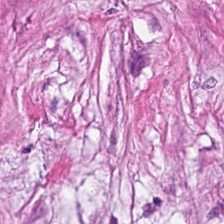Classification — desmoplastic stroma.
